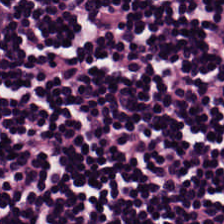The predominant tissue is lymphocytic infiltrate.
